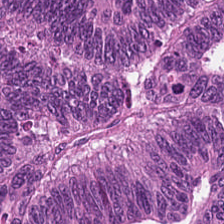H&E stain. Tissue = colorectal adenocarcinoma epithelium.
